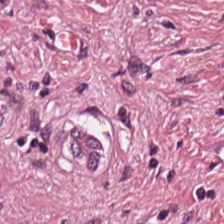H&E — The predominant tissue is cancer-associated stroma.
